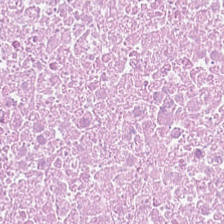Tissue type = necrotic debris.
